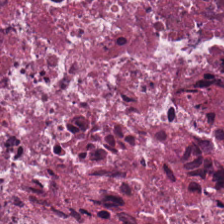This field is necrotic debris.
